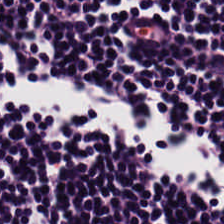Finding → lymphocytic infiltrate.
